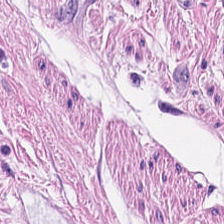Stain: H&E stain.
Tissue type: smooth-muscle tissue.
